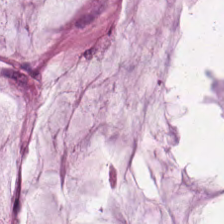Finding → mucus.
